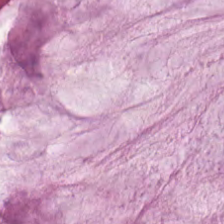0.5 µm/px; hematoxylin-and-eosin stained section — The predominant tissue is extracellular mucin.
